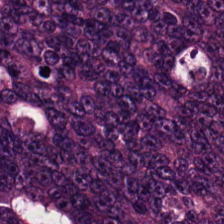0.5 µm/px · brightfield microscopy · H&E stain.
The tissue here is colorectal adenocarcinoma.
